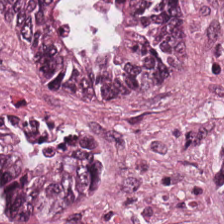H&E · FFPE tissue section. Tumor epithelium.
